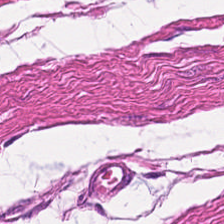0.5 µm per pixel; hematoxylin and eosin — This patch shows smooth muscle.
